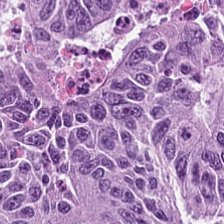Finding — tumor epithelium.
